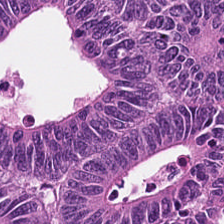H&E-stained tissue section showing adenocarcinoma.
